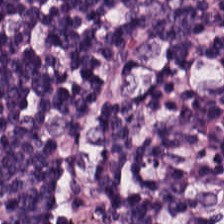H&E-stained tissue section. Formalin-fixed paraffin-embedded section. 0.5 microns per pixel.
Tissue type: lymphoid infiltrate.
